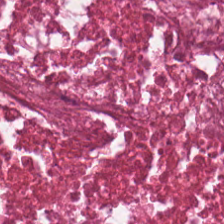H&E-stained tissue section — Predominant tissue = debris.
